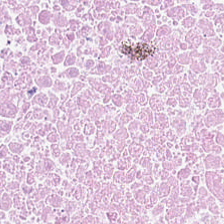H&E-stained tissue section. FFPE tissue section. The tissue type is cellular debris.
